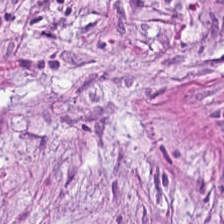H&E.
Predominantly cancer-associated stroma.
